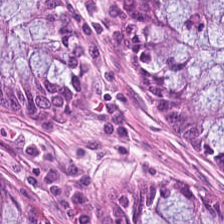224×224 px patch; hematoxylin-and-eosin stained section — {"tissue_type": "normal colonic mucosa"}
